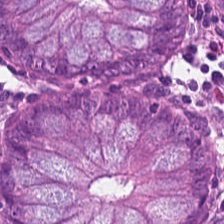H&E stain. 0.5 µm/px. Histology — non-neoplastic colon mucosa.
